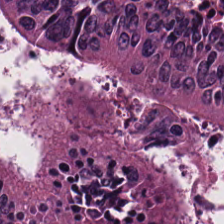The predominant tissue is malignant epithelium.
